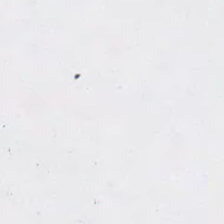H&E-stained tissue section · whole-slide-image patch. Background — no tissue in this field.
